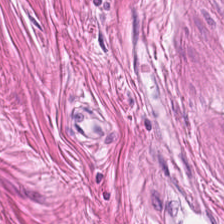{"tissue_type": "muscularis"}
